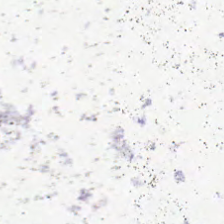No tissue present; background only.
